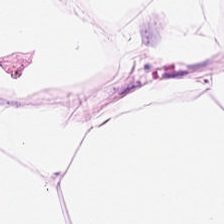H&E stain. The classification is adipose tissue.
